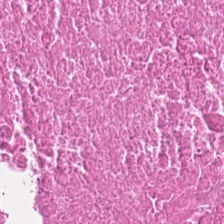Whole-slide-image patch · hematoxylin and eosin · formalin-fixed paraffin-embedded section.
Q: What tissue type is shown here?
A: Necrotic debris.
